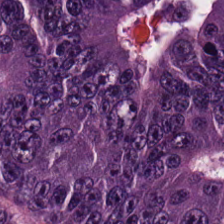H&E-stained tissue section — The predominant tissue is adenocarcinoma.
